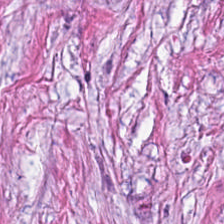H&E stain — Q: What is the predominant tissue type?
A: Desmoplastic stroma.
